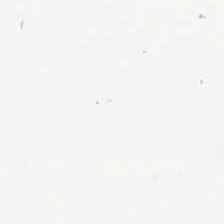224×224 px patch · whole-slide-image patch · hematoxylin and eosin. Impression — empty background.
